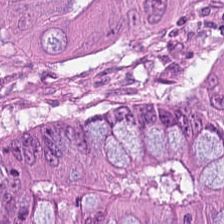H&E-stained tissue section. 224×224 px tile. The tissue type is tumor epithelium.
